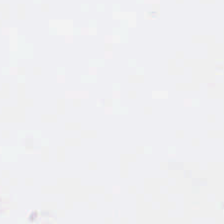This patch shows background (no tissue).
